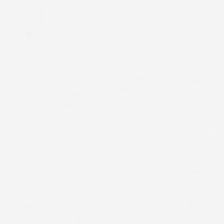The content is background (no tissue).
